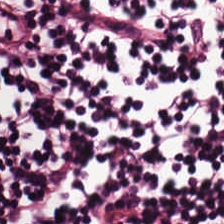H&E-stained tissue section — Predominant tissue — lymphocyte aggregate.
